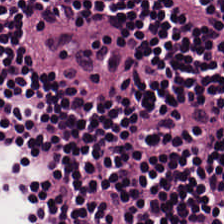The tissue class is lymphocyte aggregate.
